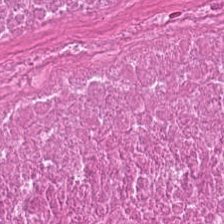H&E; 0.5 µm per pixel. {"tissue_type": "cellular debris"}
